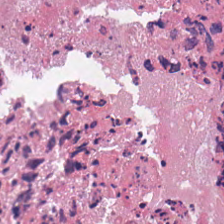H&E · 0.5 µm per pixel · 224×224 px patch — Tissue = necrotic debris.
